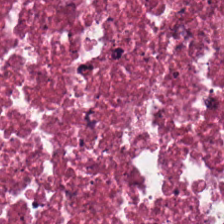H&E stain; WSI patch; formalin-fixed paraffin-embedded section — Showing cellular debris.
